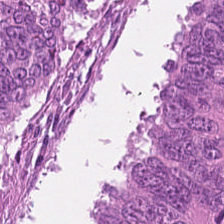Hematoxylin and eosin. This field is tumor epithelium.
